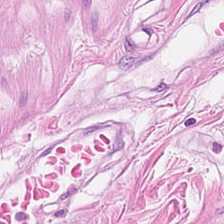FFPE; H&E. Showing smooth-muscle tissue.
